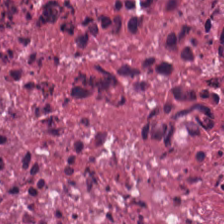H&E.
The classification is debris.
